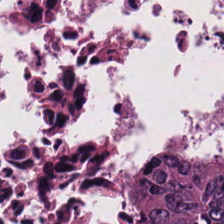H&E-stained tissue section · FFPE.
Predominant tissue — colorectal adenocarcinoma epithelium.
